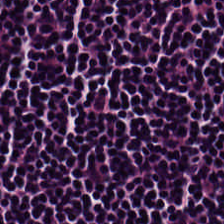H&E-stained tissue section.
Q: Classify this patch.
A: The field shows lymphocytes.
